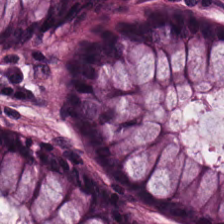H&E — Q: What is the predominant tissue type?
A: It is non-neoplastic colon mucosa.
